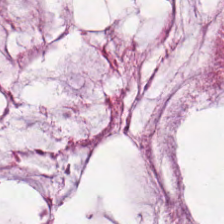H&E — The predominant tissue is extracellular mucin.
